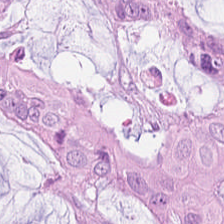H&E.
Predominant tissue: colorectal adenocarcinoma epithelium.
